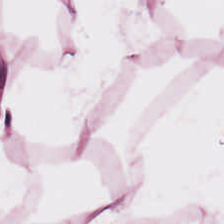H&E-stained section; the field shows adipose.
